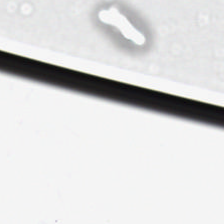Formalin-fixed paraffin-embedded section; WSI patch; hematoxylin-and-eosin stained section.
The classification is no tissue.
